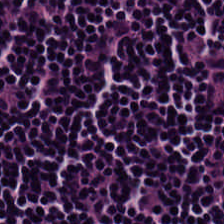{"tissue_type": "lymphocytes"}
